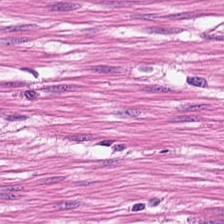Stain: H&E stain.
Classification: smooth-muscle tissue.
